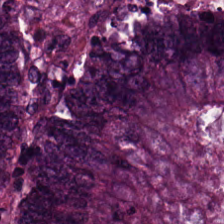Brightfield · hematoxylin and eosin · 0.5 microns per pixel.
Showing adenocarcinoma.
